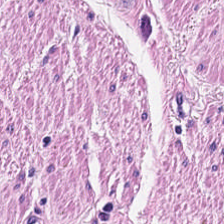H&E-stained tissue section — Histology — smooth muscle.
